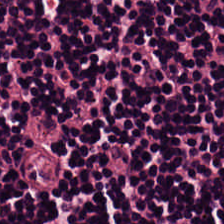Hematoxylin and eosin. Q: What is shown in this field?
A: It is lymphocyte aggregate.
